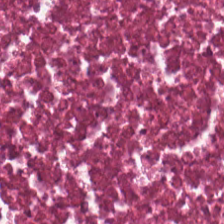H&E. 224×224 px tile. Brightfield microscopy — This patch shows necrotic debris.
